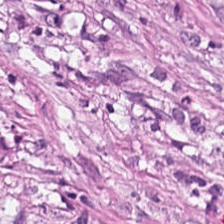Hematoxylin and eosin; brightfield. Q: What tissue is shown?
A: This is cancer-associated stroma.
